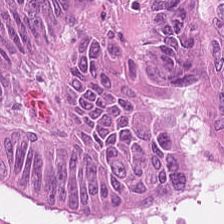H&E stain. The predominant tissue is tumor epithelium.
